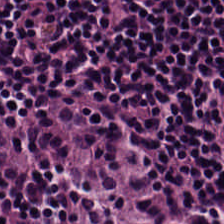H&E-stained section; the field shows lymphocytes.
